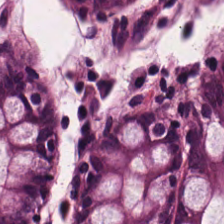224×224 pixel tile. H&E-stained tissue section.
Q: What tissue type is shown here?
A: Benign colonic mucosa.
